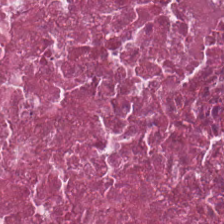Hematoxylin-and-eosin stained section · FFPE tissue section — Showing necrotic debris.
